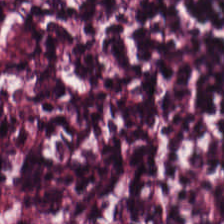Q: Classify this patch.
A: Lymphoid infiltrate.
